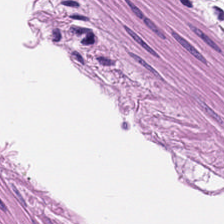Hematoxylin and eosin. 224×224 px patch.
Q: What tissue is shown?
A: This is muscularis.
